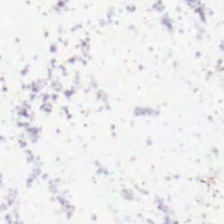Background — no tissue in this field.
